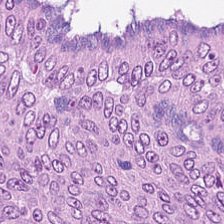H&E stain.
The tissue here is tumor epithelium.
